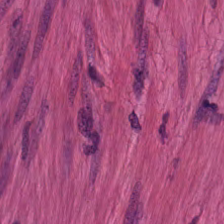The predominant tissue is muscularis.
